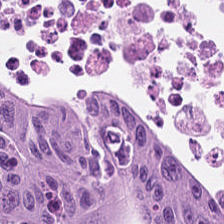H&E stain · 224×224 pixel tile · whole-slide-image patch.
The tissue class is colorectal adenocarcinoma.
